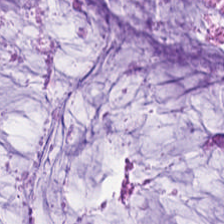H&E stain — Showing extracellular mucin.
